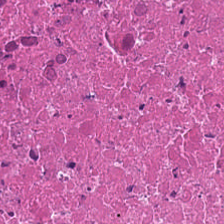H&E — Q: What does this patch show?
A: It is debris.
